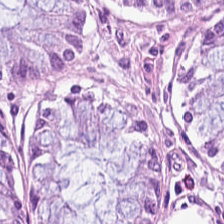H&E stain; 0.5 µm/px — Tissue type = normal colonic mucosa.
